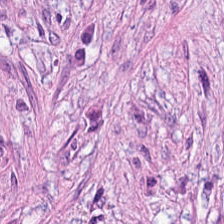Q: What is shown in this field?
A: It is cancer-associated stroma.
